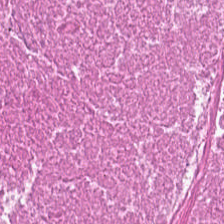Hematoxylin-and-eosin section: debris.
